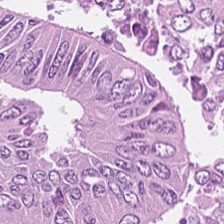224×224 px patch. H&E stain. Formalin-fixed paraffin-embedded section.
Tissue class: colorectal adenocarcinoma.
